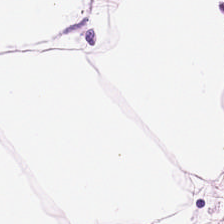H&E. The predominant tissue is adipose tissue.
